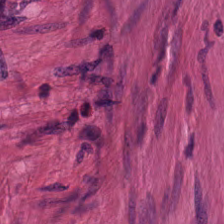0.5 µm per pixel; H&E stain — Impression — muscularis.
